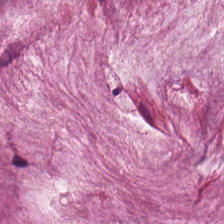Whole-slide-image patch · H&E stain.
{"tissue_type": "extracellular mucin"}
